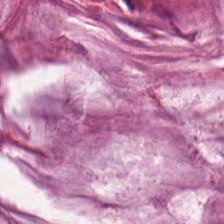The classification is extracellular mucin.
